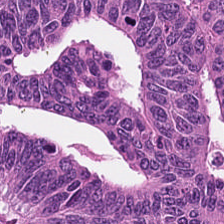Classification = adenocarcinoma.
